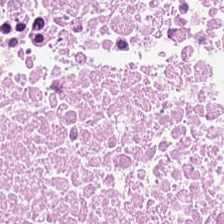Q: What type of tissue is this?
A: The field shows cellular debris.
